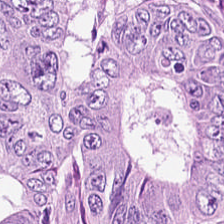Tissue class — colorectal adenocarcinoma epithelium.
